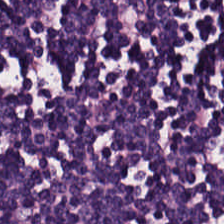Stain: H&E-stained tissue section.
Tissue: lymphocyte aggregate.
